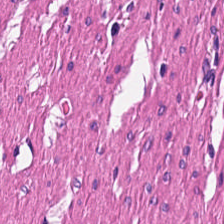Stain: hematoxylin-and-eosin stained section.
Tissue: smooth-muscle tissue.
